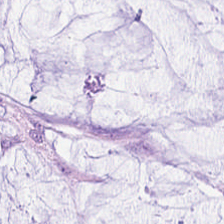Q: What is shown in this field?
A: The field shows mucin.
